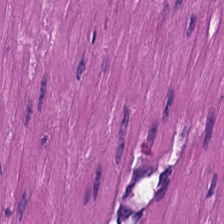Impression — smooth-muscle tissue.
